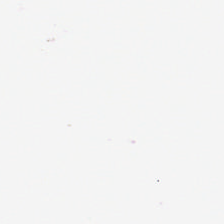Background — no tissue in this field.
